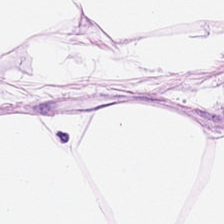Hematoxylin-and-eosin stained section. Tissue: adipose tissue.
